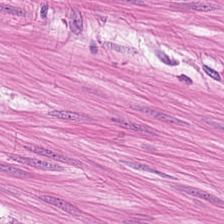Hematoxylin-and-eosin section: smooth-muscle tissue.
